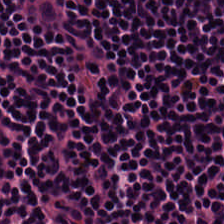Impression → lymphoid infiltrate.
